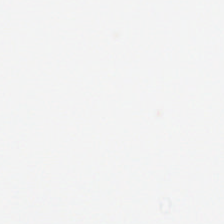Content = empty background.
